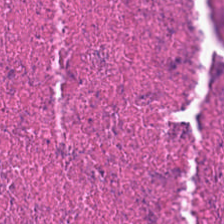Stain: H&E stain.
Preparation: formalin-fixed paraffin-embedded section.
Resolution: 0.5 µm/px.
Tissue: debris.
